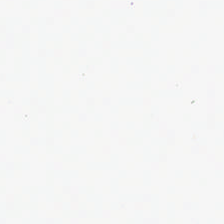Hematoxylin-and-eosin stained section — Q: Classify this patch.
A: It is no tissue.
